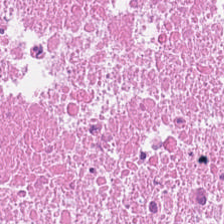Predominantly debris.
